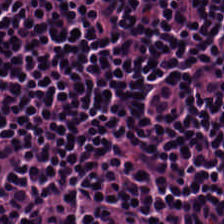H&E-stained tissue section · 0.5 microns per pixel · formalin-fixed paraffin-embedded section.
Finding — lymphocytes.
